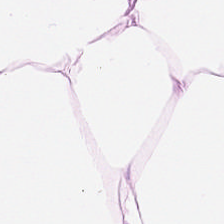Hematoxylin-and-eosin stained section · 0.5 microns per pixel · FFPE — Classification = fat tissue.
